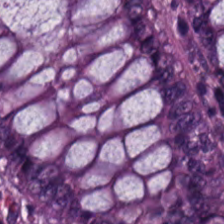H&E — This patch shows normal colonic mucosa.
